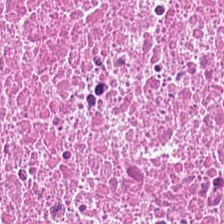Whole-slide-image patch; 0.5 microns per pixel; hematoxylin and eosin — This field is debris.
